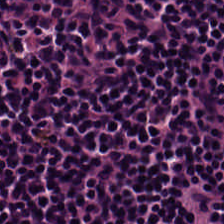H&E stain — The predominant tissue is lymphocytic infiltrate.
